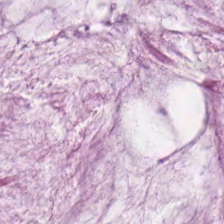H&E. Impression → extracellular mucin.
